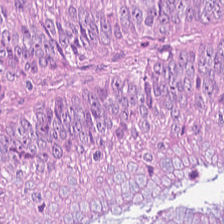Hematoxylin and eosin. Impression → tumor epithelium.
